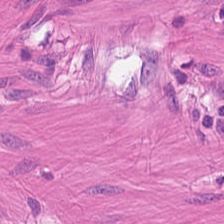H&E · 224×224 pixel tile. Classification = smooth-muscle tissue.
